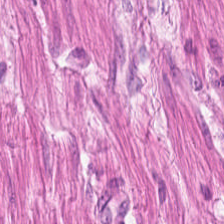Impression — smooth-muscle tissue.
